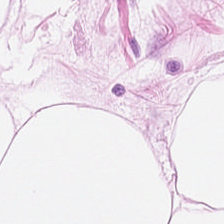H&E stain.
This field is adipose tissue.
